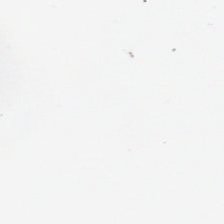Stain: H&E.
Content: background (no tissue).
